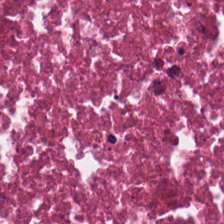H&E-stained tissue section. Formalin-fixed paraffin-embedded section. Tissue: cellular debris.
